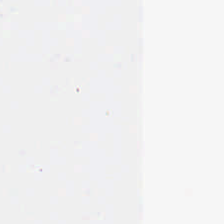Hematoxylin and eosin · whole-slide-image patch — Field content: no tissue.
